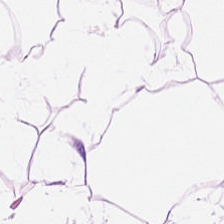Hematoxylin and eosin. Impression — adipose.
